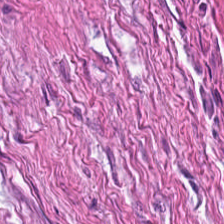H&E-stained tissue section; whole-slide-image patch.
Finding — smooth-muscle tissue.
